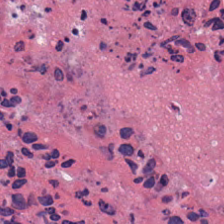224×224 px patch · hematoxylin and eosin. This patch shows necrotic debris.
